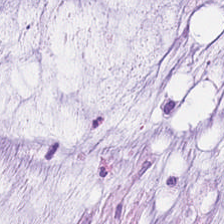Predominantly mucin.
